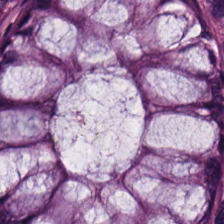224×224 pixel tile. H&E-stained tissue section. Finding — normal colonic mucosa.
